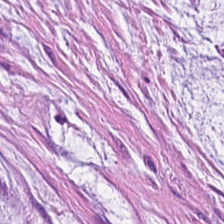Hematoxylin-and-eosin stained section. {"tissue_type": "mucin"}
